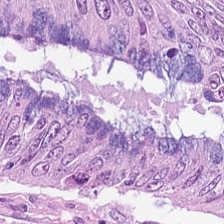Brightfield microscopy; hematoxylin and eosin. Q: Classify this patch.
A: It is adenocarcinoma.
